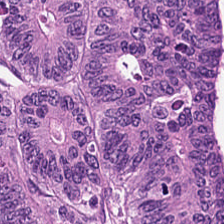Hematoxylin and eosin — Q: What tissue type is shown here?
A: This is colorectal adenocarcinoma.
